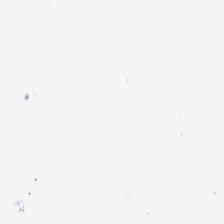H&E.
Field content — background (no tissue).
